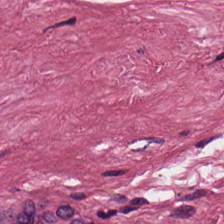Histology — desmoplastic stroma.
